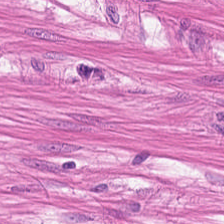Hematoxylin and eosin. 224×224 px patch — Showing smooth muscle.
